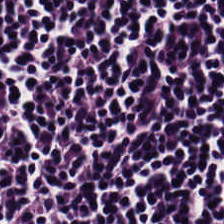H&E — lymphocytes.
